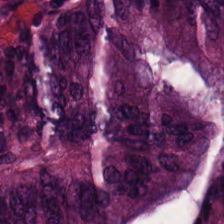H&E — Q: What tissue type is shown here?
A: Tumor epithelium.
